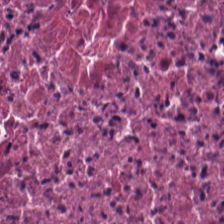Q: What is shown here?
A: This is necrotic debris.
